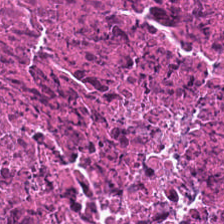Stain: H&E.
Preparation: FFPE tissue section.
Classification: necrotic debris.
